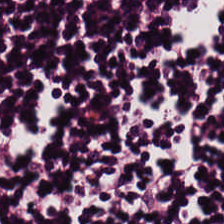Hematoxylin and eosin. Q: What is shown here?
A: This is lymphoid infiltrate.
